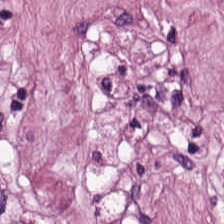H&E stain; FFPE tissue section.
This patch shows tumor stroma.
